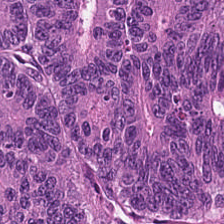The tissue class is colorectal adenocarcinoma epithelium.
